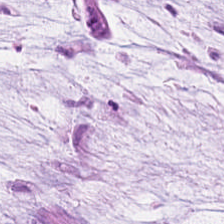Hematoxylin and eosin.
This patch shows extracellular mucin.
